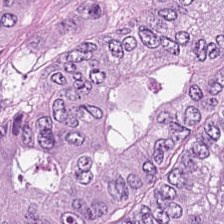Predominant tissue: colorectal adenocarcinoma epithelium.
